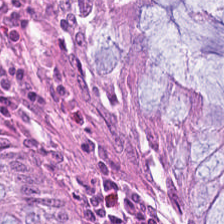Stain: hematoxylin and eosin.
Predominant tissue: normal colonic mucosa.
